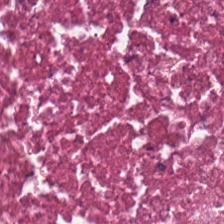224×224 pixel tile. H&E. Q: What is the predominant tissue type?
A: Cellular debris.
